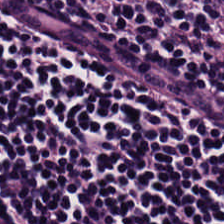H&E stain.
Predominant tissue: lymphocytes.
